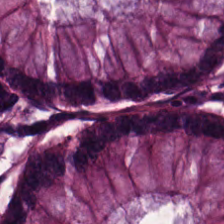Histology → normal colonic mucosa.
